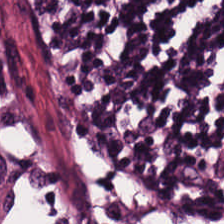Stain: H&E.
Predominant tissue: lymphocyte aggregate.
